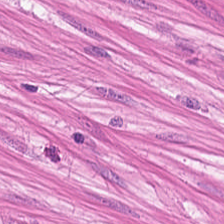H&E — Impression → smooth-muscle tissue.
